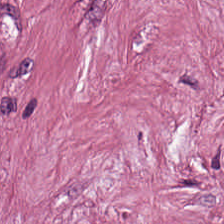WSI patch; hematoxylin and eosin — Finding — tumor-associated stroma.
